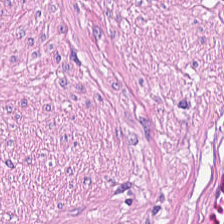Hematoxylin and eosin — {"tissue_type": "muscularis"}
